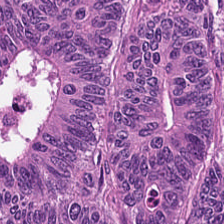H&E. Histology → adenocarcinoma.
